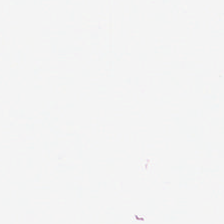Content — background (no tissue).
